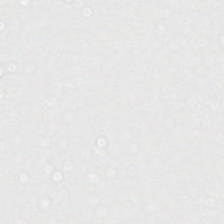Stain: H&E.
Acquisition: brightfield.
Classification: background (no tissue).
